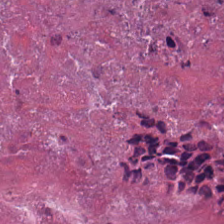Hematoxylin-and-eosin stained section.
Predominantly cellular debris.
